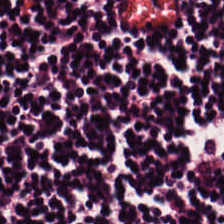224×224 pixel tile · hematoxylin-and-eosin stained section — Showing lymphoid infiltrate.
